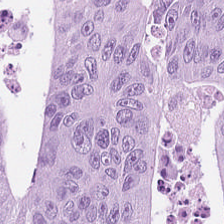This field is colorectal adenocarcinoma epithelium.
